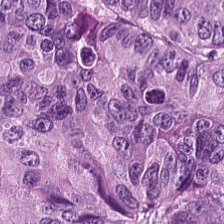Histology → malignant epithelium.
